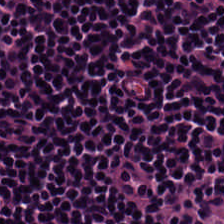Hematoxylin-and-eosin section: lymphocyte aggregate.
